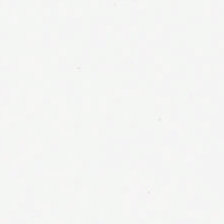Q: What is shown here?
A: This is no tissue.
